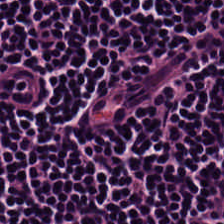Predominantly lymphocyte aggregate.
